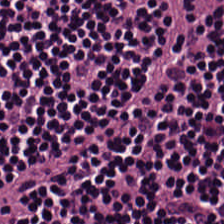Hematoxylin-and-eosin stained section.
This field is lymphocyte aggregate.
